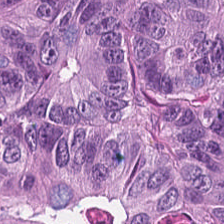Stain: H&E stain.
Classification: adenocarcinoma.
